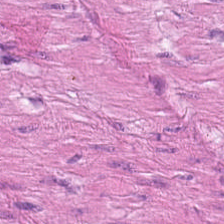20× equivalent magnification; hematoxylin-and-eosin stained section. Smooth muscle.
